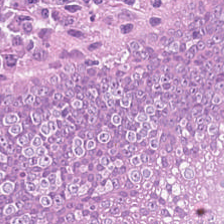Colorectal adenocarcinoma.
